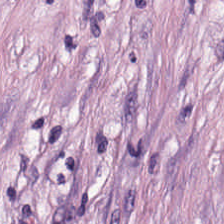Predominantly tumor-associated stroma.
